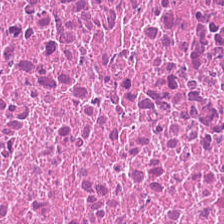Whole-slide-image patch · hematoxylin and eosin · 224×224 px tile. Q: What does this patch show?
A: It is cellular debris.
